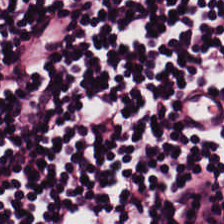Hematoxylin and eosin.
Predominant tissue — lymphocytes.
